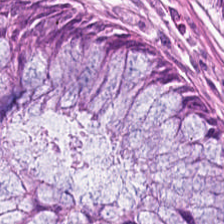H&E-stained tissue section · 0.5 microns per pixel — Classification: benign colonic mucosa.
